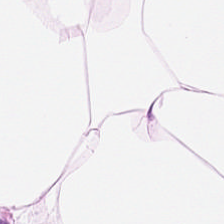224×224 px patch. FFPE tissue section. H&E.
This field is adipose.
